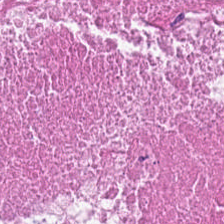Q: What tissue type is shown here?
A: The field shows debris.
